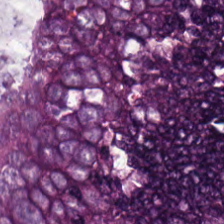Stain: H&E stain.
Tissue class: malignant epithelium.
